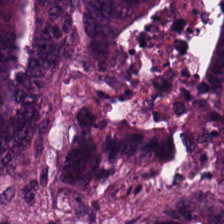FFPE tissue section. WSI patch. H&E-stained tissue section. Tissue class — colorectal adenocarcinoma.
